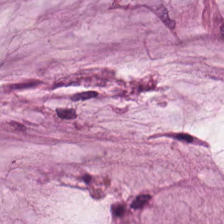Hematoxylin and eosin. Mucin.
